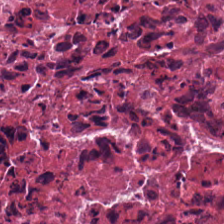H&E-stained tissue section. Q: What is shown in this field?
A: It is cellular debris.
